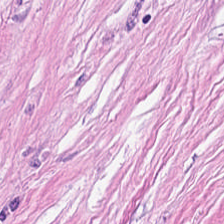Stain: hematoxylin and eosin.
Preparation: FFPE tissue section.
Tissue class: cancer-associated stroma.
